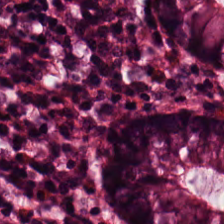H&E-stained tissue section.
Predominantly normal colonic mucosa.
